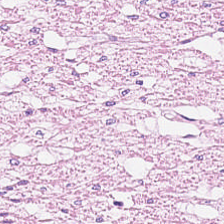H&E-stained tissue section. This patch shows smooth-muscle tissue.
